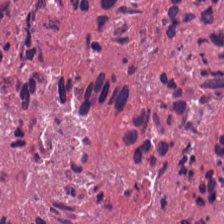0.5 microns per pixel; H&E.
Q: Classify this patch.
A: The field shows necrotic debris.
